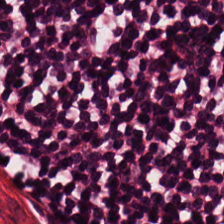Q: What type of tissue is this?
A: Lymphocyte aggregate.
